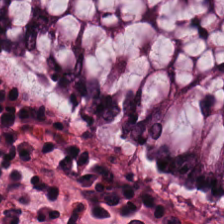H&E-stained tissue section.
This patch shows normal colon mucosa.
